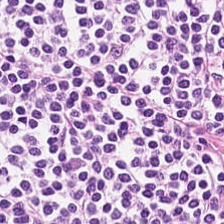H&E-stained tissue section. Lymphocyte aggregate.
